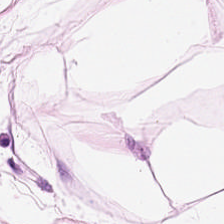Showing adipose.
